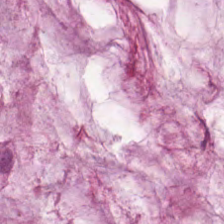Hematoxylin-and-eosin stained section.
Predominant tissue = mucin.
